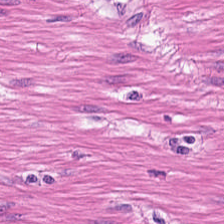The tissue is smooth muscle.
